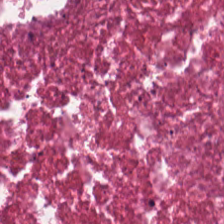Impression — cellular debris.
